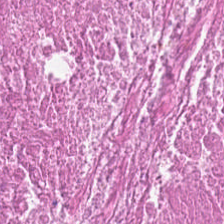H&E stain.
Tissue type: cellular debris.
